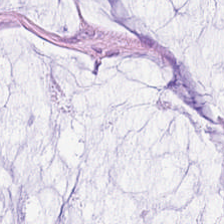The tissue type is extracellular mucin.
